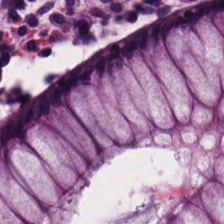Hematoxylin and eosin.
{"tissue_type": "normal colon mucosa"}
